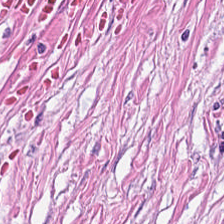Whole-slide-image patch · H&E-stained tissue section.
Q: What tissue type is shown here?
A: The field shows tumor-associated stroma.
